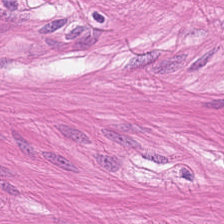Stain: hematoxylin-and-eosin stained section.
Tissue: muscularis.
